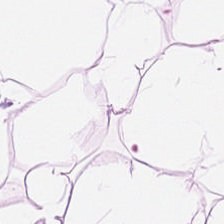0.5 microns per pixel. Hematoxylin-and-eosin stained section. FFPE — Tissue type = adipose.
